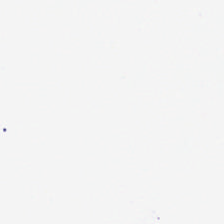The classification is background.
